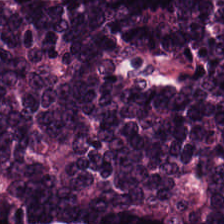Brightfield. H&E-stained tissue section. 224×224 px patch — Tissue class: colorectal adenocarcinoma epithelium.
